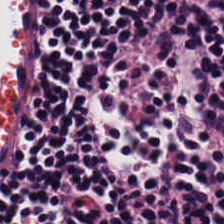Tissue type = lymphocytes.
